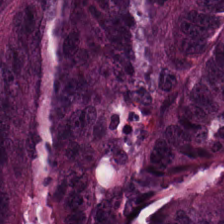20× equivalent magnification. H&E-stained tissue section. 224×224 pixel tile — Histology → colorectal adenocarcinoma.
